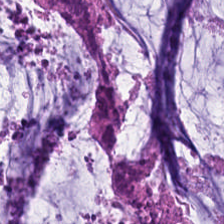Hematoxylin-and-eosin stained section · FFPE · 0.5 microns per pixel — {"tissue_type": "extracellular mucin"}
